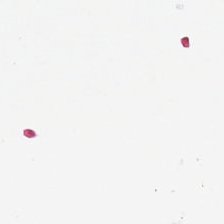No tissue present; background only.
